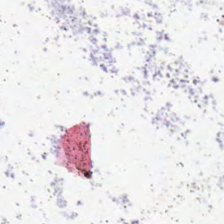224×224 px patch. H&E stain. Content — no tissue.
